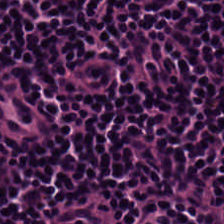224×224 px patch; hematoxylin-and-eosin stained section — {"tissue_type": "lymphocyte aggregate"}
